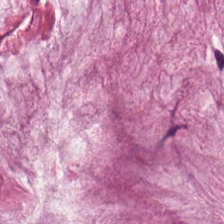H&E. 224×224 pixel tile.
Q: What tissue type is shown here?
A: It is mucus.
